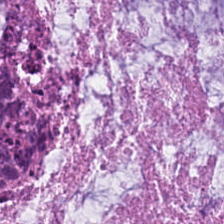H&E stain — Predominantly extracellular mucin.
